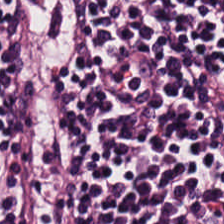H&E. 224×224 px tile. Q: Identify the tissue.
A: It is lymphocytes.
